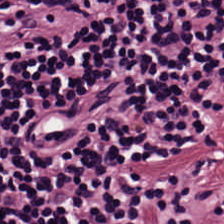H&E. The tissue here is lymphoid infiltrate.
